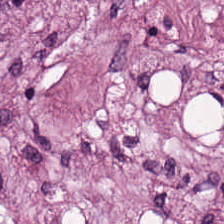Hematoxylin-and-eosin stained section — The predominant tissue is desmoplastic stroma.
